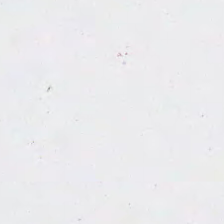Hematoxylin-and-eosin stained section.
Background (no tissue).
